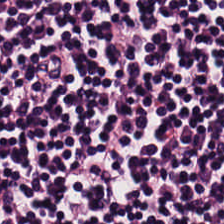H&E-stained tissue section — {"tissue_type": "lymphocytes"}
